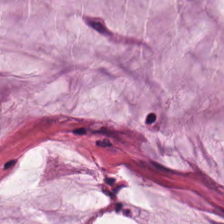Hematoxylin and eosin.
{"tissue_type": "extracellular mucin"}
